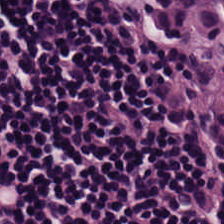{"tissue_type": "lymphocytes"}
